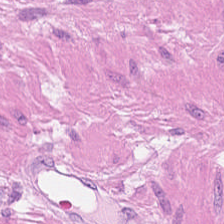This field is smooth muscle.
